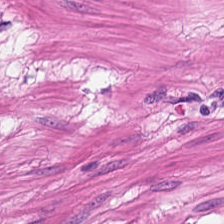Stain: hematoxylin-and-eosin stained section.
Tissue: smooth-muscle tissue.
